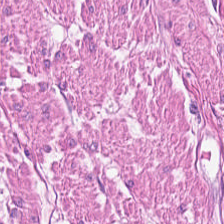Hematoxylin and eosin. 0.5 µm/px — This field is muscularis.
